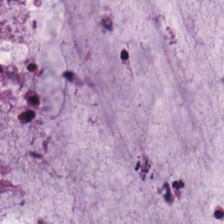H&E stain. The predominant tissue is mucus.
